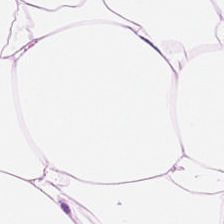H&E · 20× equivalent magnification · WSI patch.
Tissue type — adipose.
